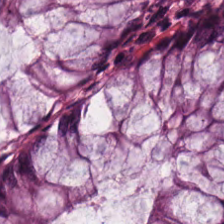Whole-slide-image patch. 224×224 px tile. H&E — {"tissue_type": "normal colon mucosa"}
